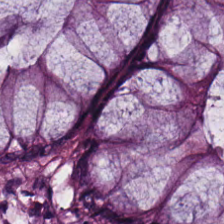Hematoxylin-and-eosin section: non-neoplastic colon mucosa.
